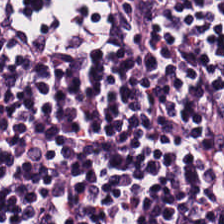224×224 px patch · H&E · FFPE tissue section — Q: What tissue type is shown here?
A: It is lymphocytes.
